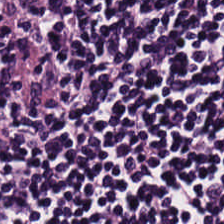H&E stain. Whole-slide-image patch — Tissue type — lymphocyte aggregate.
